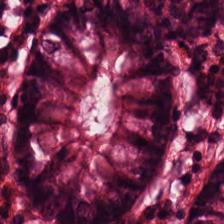Whole-slide-image patch; H&E-stained tissue section. Finding → non-neoplastic colon mucosa.
